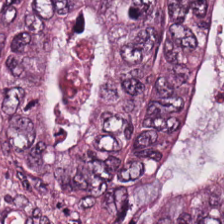H&E-stained tissue section · 0.5 microns per pixel. This field is colorectal adenocarcinoma epithelium.
